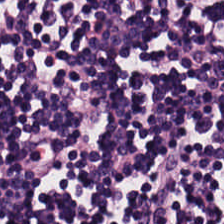Tissue type: lymphocyte aggregate.
